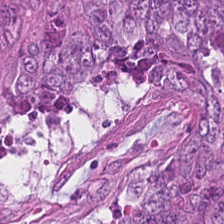H&E-stained tissue section; 224×224 px tile — Showing adenocarcinoma.
